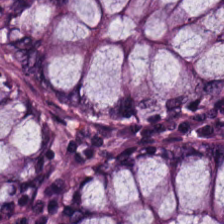H&E-stained tissue section. {"tissue_type": "normal colon mucosa"}
